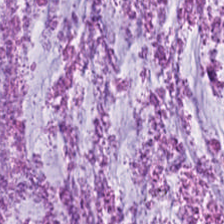Predominant tissue: mucin.
